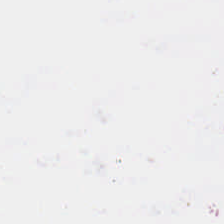H&E — Background — no tissue in this field.
